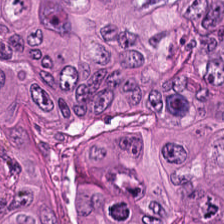Hematoxylin-and-eosin stained section — Q: What is shown here?
A: The field shows tumor epithelium.
